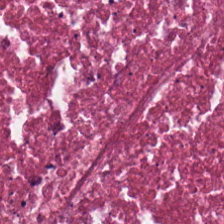Hematoxylin and eosin. {"tissue_type": "cellular debris"}
